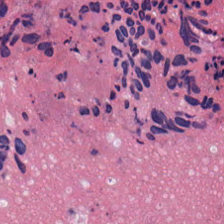H&E stain; brightfield microscopy — Tissue — necrotic debris.
